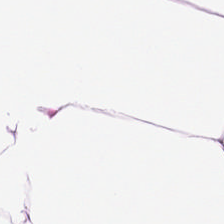H&E. Whole-slide-image patch. FFPE. Tissue class — adipose tissue.
